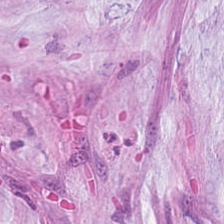Hematoxylin and eosin.
Q: What tissue type is shown here?
A: This is extracellular mucin.
